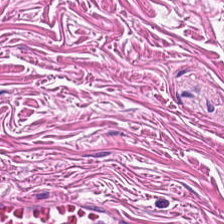Showing smooth muscle.
